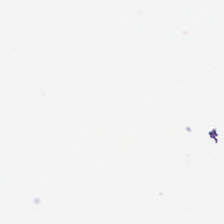H&E-stained tissue section. 224×224 px patch. Formalin-fixed paraffin-embedded section.
Q: What is shown in this field?
A: This is empty background.
